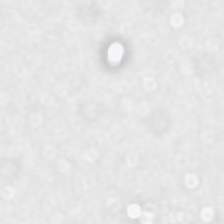Hematoxylin-and-eosin stained section. No tissue present; background only.
